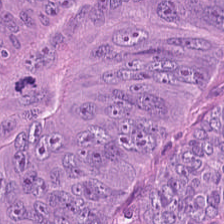224×224 px tile. H&E stain. The classification is colorectal adenocarcinoma epithelium.
